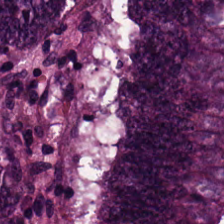Stain: H&E stain.
Preparation: FFPE.
Tissue class: malignant epithelium.
